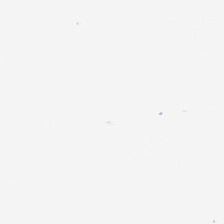0.5 µm per pixel. Formalin-fixed paraffin-embedded section. H&E-stained tissue section — Classification — background.
